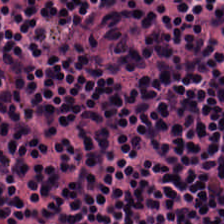H&E. 0.5 µm/px. WSI patch — The tissue here is lymphoid infiltrate.
